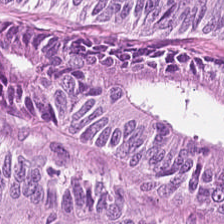H&E stain. This field is colorectal adenocarcinoma epithelium.
